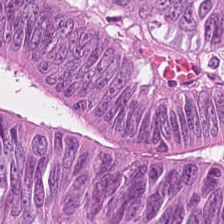Hematoxylin-and-eosin section: colorectal adenocarcinoma epithelium.
